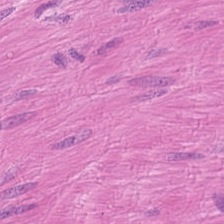224×224 px patch; FFPE; hematoxylin-and-eosin stained section. Tissue type — smooth-muscle tissue.
